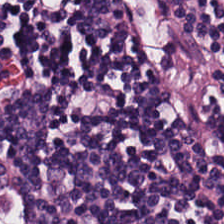H&E-stained tissue section · 0.5 µm per pixel — Tissue — lymphoid infiltrate.
